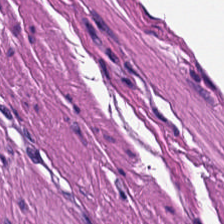Predominantly muscularis.
